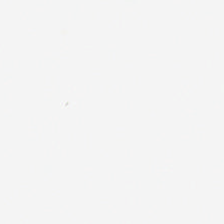224×224 px tile · 20× equivalent magnification · H&E-stained tissue section — This field is background (no tissue).
